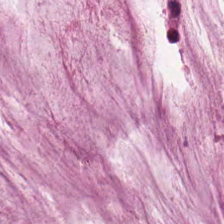Hematoxylin-and-eosin stained section. Histology — extracellular mucin.
